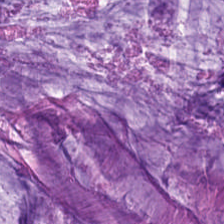H&E — Predominantly extracellular mucin.
